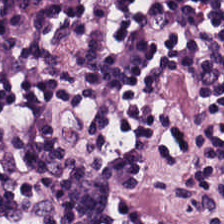Hematoxylin-and-eosin stained section. Impression → lymphoid infiltrate.
